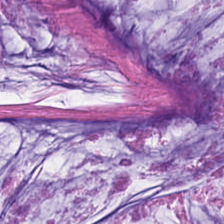H&E-stained tissue section · FFPE · 0.5 µm/px — Tissue — mucin.
